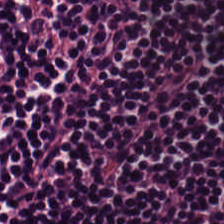20× equivalent magnification. 224×224 px tile. H&E stain — Q: Identify the tissue.
A: This is lymphoid infiltrate.
